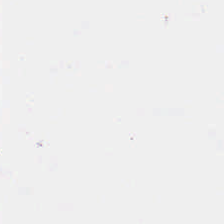Hematoxylin and eosin — Classification — background.
